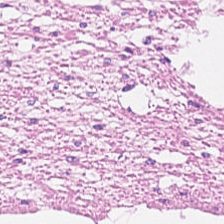Stain: H&E.
Acquisition: whole-slide-image patch.
Predominant tissue: smooth-muscle tissue.
